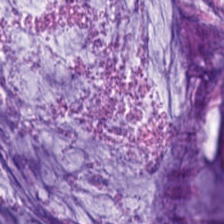224×224 px patch · FFPE · hematoxylin-and-eosin stained section.
Q: Classify this patch.
A: This is mucus.
